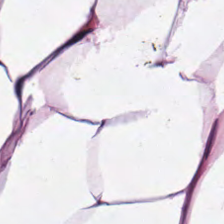Hematoxylin-and-eosin stained section. 224×224 pixel tile. The tissue type is fat tissue.
